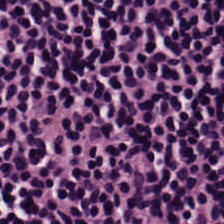Hematoxylin and eosin — Finding — lymphocytic infiltrate.
